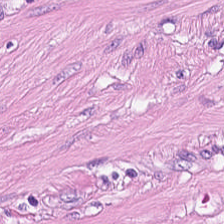Hematoxylin-and-eosin stained section. 0.5 µm/px.
{"tissue_type": "smooth muscle"}
